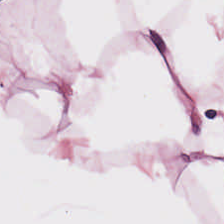{"tissue_type": "adipocytes"}
